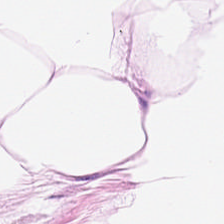224×224 px patch; hematoxylin-and-eosin stained section. Q: What type of tissue is this?
A: The field shows fat tissue.
